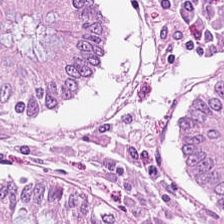Hematoxylin-and-eosin stained section · 0.5 microns per pixel.
The tissue here is benign colonic mucosa.
